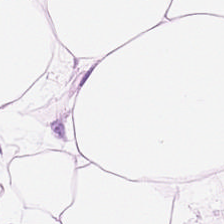H&E stain. Showing adipose tissue.
